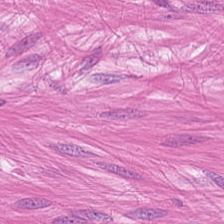Hematoxylin and eosin. 0.5 microns per pixel. FFPE.
Q: What type of tissue is this?
A: This is smooth muscle.
